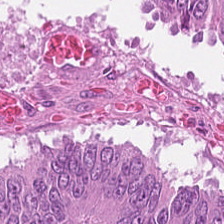H&E. 0.5 µm per pixel.
Q: What is the predominant tissue type?
A: It is colorectal adenocarcinoma epithelium.
